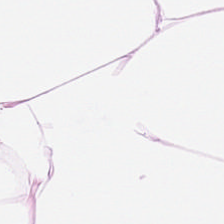H&E stain. Impression → adipose tissue.
